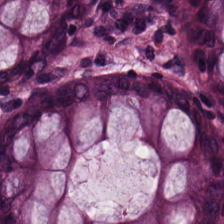H&E stain. 20× equivalent magnification. This field is benign colonic mucosa.
